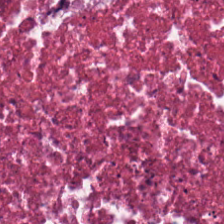Brightfield · hematoxylin-and-eosin stained section. Tissue class = debris.
